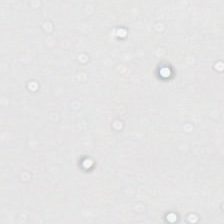Q: What does this patch show?
A: This is background.
